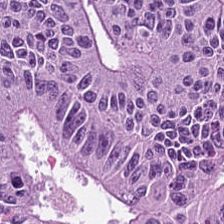Hematoxylin-and-eosin stained section.
Adenocarcinoma.
